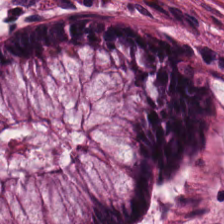H&E stain — Tissue: normal colon mucosa.
